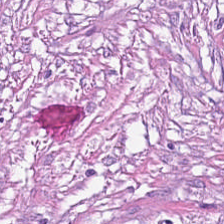Hematoxylin and eosin; brightfield microscopy.
Finding — tumor-associated stroma.
